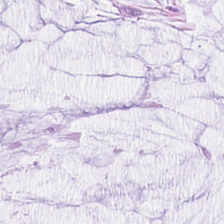FFPE tissue section. Hematoxylin and eosin — The tissue here is extracellular mucin.
